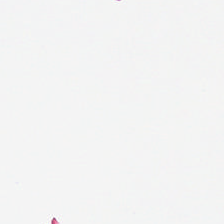Hematoxylin-and-eosin stained section · 20× equivalent magnification — Q: What is shown here?
A: The field shows empty background.
